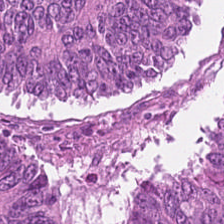H&E-stained tissue section.
Classification = colorectal adenocarcinoma epithelium.
